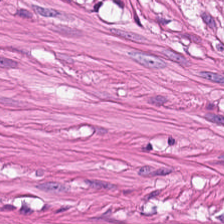Stain: H&E-stained tissue section.
Tissue class: smooth-muscle tissue.
